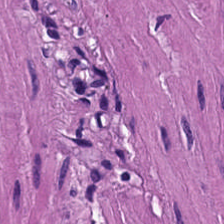H&E stain. Q: What is shown in this field?
A: Smooth muscle.
